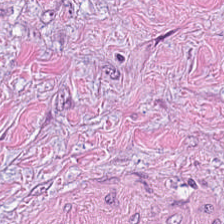H&E stain. 0.5 µm/px.
The classification is tumor-associated stroma.
